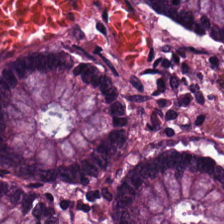Predominant tissue: normal colon mucosa.
